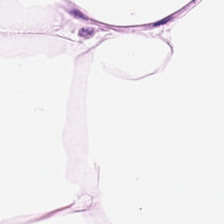0.5 µm/px · H&E — Tissue — adipocytes.
